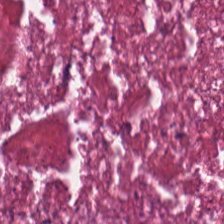Q: Classify this patch.
A: Cellular debris.
